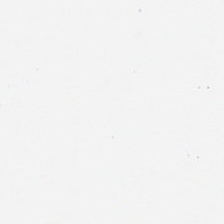This patch shows background.
